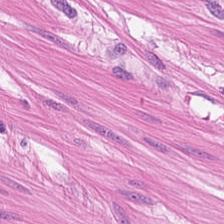Stain: H&E-stained tissue section.
Tissue type: muscularis.
